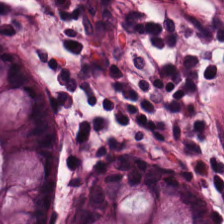Stain: hematoxylin-and-eosin stained section.
Classification: normal colonic mucosa.
